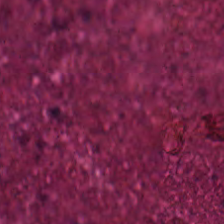Brightfield microscopy · H&E-stained tissue section. Predominantly debris.
